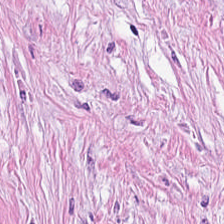Stain: H&E stain.
Acquisition: whole-slide-image patch.
Tissue class: tumor-associated stroma.
